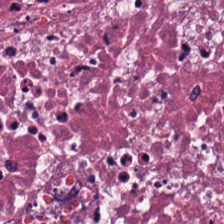Hematoxylin-and-eosin stained section — This field is cellular debris.
